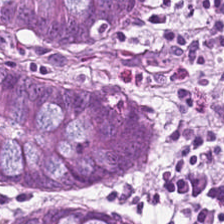H&E. This field is benign colonic mucosa.
